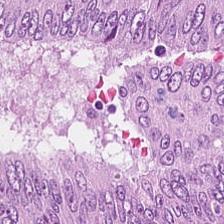Q: What is shown here?
A: This is colorectal adenocarcinoma.
